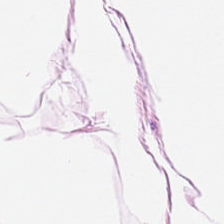Finding — adipose tissue.
